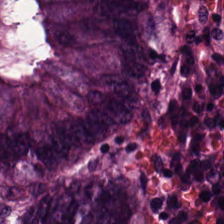Hematoxylin-and-eosin stained section. The tissue type is colorectal adenocarcinoma.
